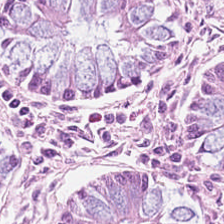Hematoxylin and eosin. Showing normal colonic mucosa.
